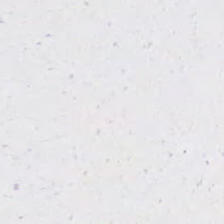H&E-stained tissue section.
Q: What is shown in this field?
A: The field shows no tissue.
